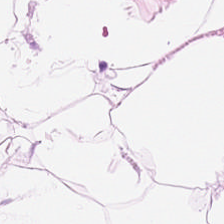20× equivalent magnification · H&E stain · 224×224 px tile. The classification is fat tissue.
